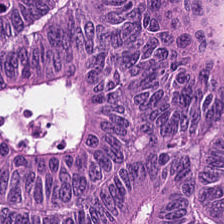This patch shows adenocarcinoma.
